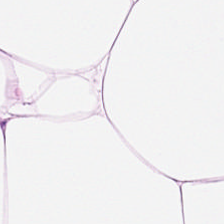H&E-stained tissue section. 224×224 px patch.
The tissue is fat tissue.
